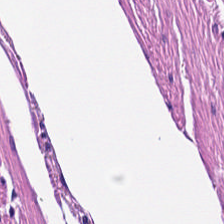H&E-stained tissue section · 224×224 px tile. Tissue = muscularis.
